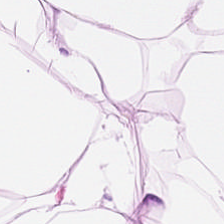Q: What is shown in this field?
A: The field shows adipose.
